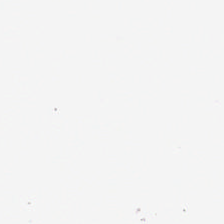No tissue present; background only.
